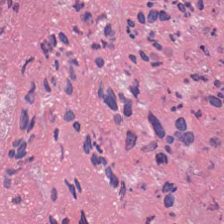Finding → debris.
